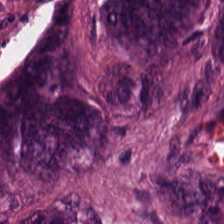224×224 px patch; hematoxylin and eosin.
{"tissue_type": "malignant epithelium"}
